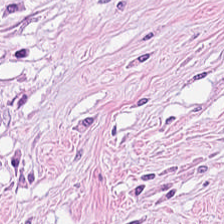The tissue here is tumor stroma.
